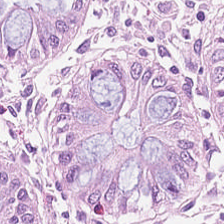Hematoxylin-and-eosin stained section.
The tissue here is normal colonic mucosa.
